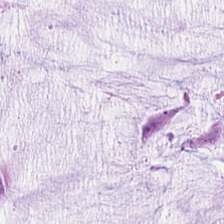H&E-stained tissue section — This patch shows mucus.
